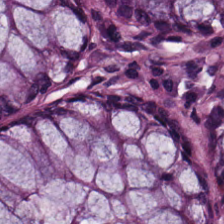H&E patch showing normal colonic mucosa.
